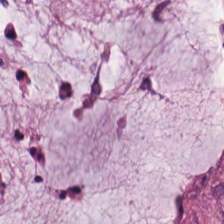Hematoxylin and eosin; 224×224 px patch.
Q: What tissue type is shown here?
A: This is mucus.
